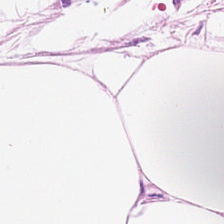Predominantly fat tissue.
